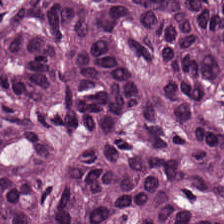Stain: H&E stain.
Acquisition: brightfield microscopy.
Tissue: tumor epithelium.
